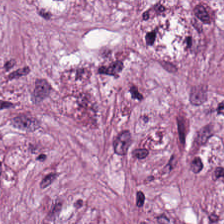Hematoxylin-and-eosin stained section. FFPE.
Cancer-associated stroma.
